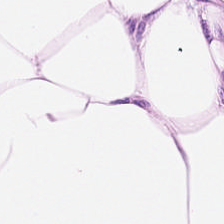H&E-stained tissue section.
The tissue here is adipose.
